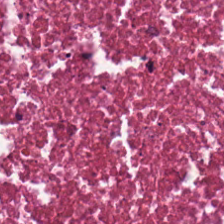Hematoxylin and eosin — Tissue class = cellular debris.
